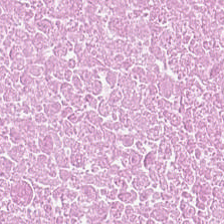Hematoxylin and eosin. Formalin-fixed paraffin-embedded section.
Predominantly necrotic debris.
